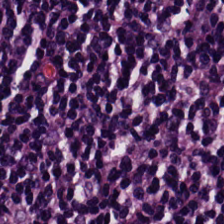Brightfield microscopy. FFPE tissue section. H&E. The predominant tissue is lymphocytic infiltrate.
